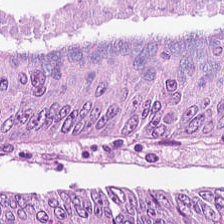Hematoxylin and eosin. Predominantly colorectal adenocarcinoma.
